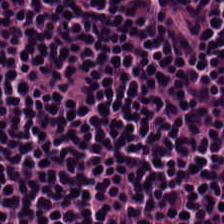H&E. Tissue — lymphocyte aggregate.
